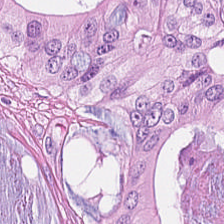Q: Classify this patch.
A: The field shows tumor epithelium.
